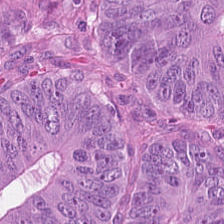{"tissue_type": "colorectal adenocarcinoma"}
